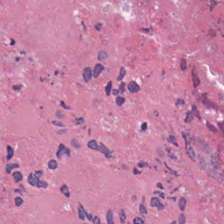H&E — The tissue type is debris.
